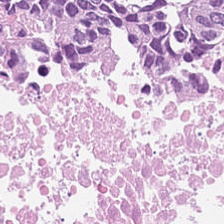224×224 pixel tile. Hematoxylin and eosin. Q: What is shown in this field?
A: This is necrotic debris.
